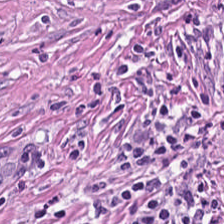Hematoxylin-and-eosin stained section · WSI patch.
{"tissue_type": "tumor stroma"}
